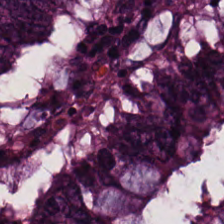Hematoxylin and eosin — Q: Identify the tissue.
A: It is colorectal adenocarcinoma epithelium.
